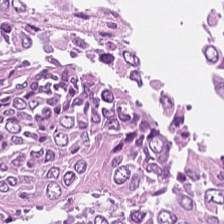{"tissue_type": "colorectal adenocarcinoma"}
